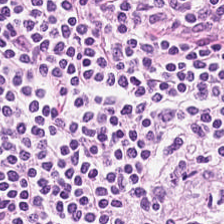Q: What is shown in this field?
A: It is lymphocytic infiltrate.
